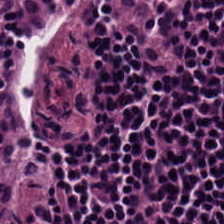Hematoxylin-and-eosin stained section.
Lymphoid infiltrate.
